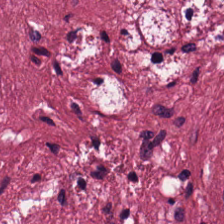Q: Classify this patch.
A: It is tumor stroma.
